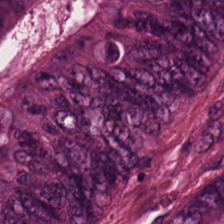H&E · FFPE — Classification — mucin.
